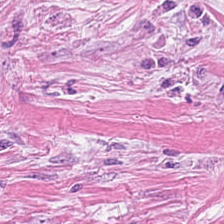Stain: H&E-stained tissue section.
Acquisition: brightfield microscopy.
Tissue class: tumor stroma.
